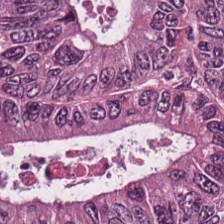Formalin-fixed paraffin-embedded section · H&E-stained tissue section · 20× equivalent magnification. {"tissue_type": "colorectal adenocarcinoma"}
